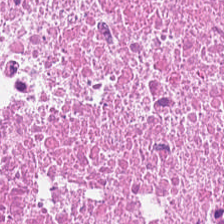Stain: hematoxylin and eosin.
Preparation: formalin-fixed paraffin-embedded section.
Tissue class: cellular debris.
